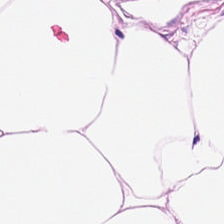Hematoxylin and eosin; WSI patch — Predominant tissue = adipose tissue.
